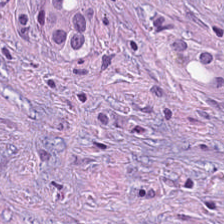H&E-stained tissue section.
The tissue here is cancer-associated stroma.
